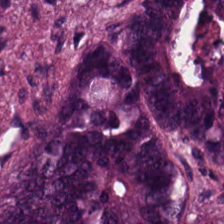H&E stain.
Malignant epithelium.
